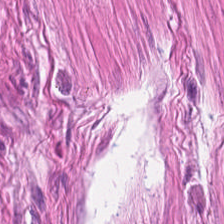Brightfield. 224×224 px patch. H&E.
Tissue class — smooth-muscle tissue.
